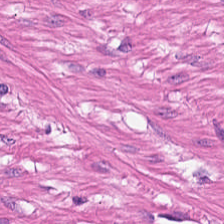Stain: hematoxylin and eosin.
Resolution: 0.5 microns per pixel.
Tissue type: smooth muscle.
